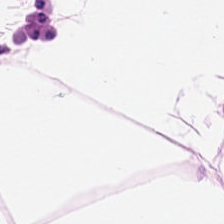Hematoxylin-and-eosin stained section — {"tissue_type": "fat tissue"}
